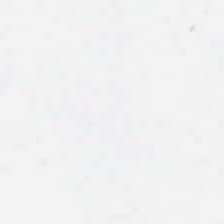Stain: hematoxylin-and-eosin stained section.
Tile size: 224×224 px tile.
Preparation: formalin-fixed paraffin-embedded section.
Content: background (no tissue).
